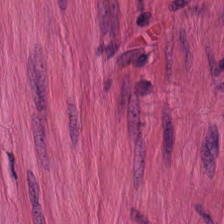Q: What type of tissue is this?
A: Smooth muscle.
